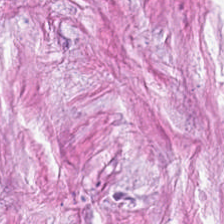Tumor stroma.
